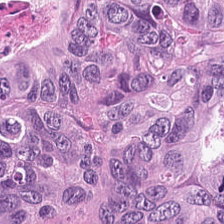Hematoxylin and eosin.
The tissue here is adenocarcinoma.
